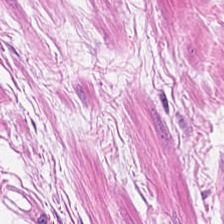Histology → muscularis.
